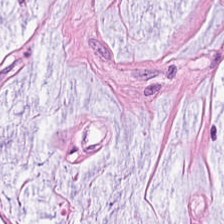Stain: H&E.
Tissue class: mucin.
